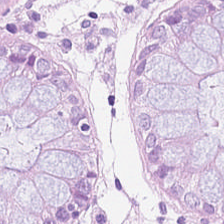H&E patch showing normal colon mucosa.
